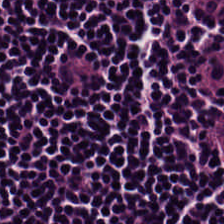Brightfield microscopy · H&E stain — Classification — lymphoid infiltrate.
